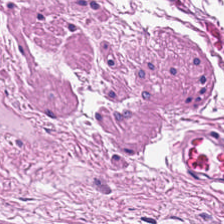H&E patch showing smooth muscle.
